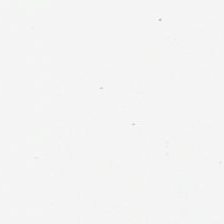Hematoxylin-and-eosin stained section · 224×224 px patch.
{"content": "background"}
